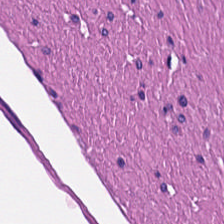This field is smooth-muscle tissue.
